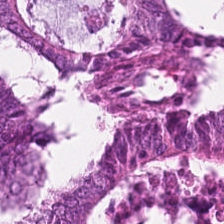Hematoxylin-and-eosin stained section. 0.5 microns per pixel.
Finding → adenocarcinoma.
